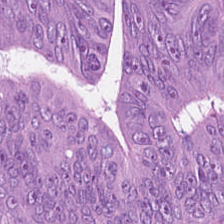Stain: H&E-stained tissue section.
Tissue: colorectal adenocarcinoma epithelium.
